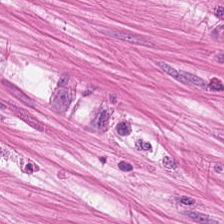H&E-stained tissue section — The predominant tissue is smooth muscle.
